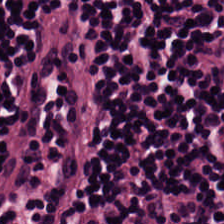Hematoxylin-and-eosin stained section — Q: What tissue is shown?
A: This is lymphoid infiltrate.
